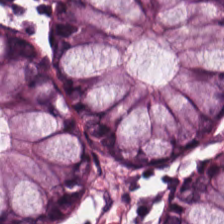Hematoxylin-and-eosin stained section. Predominantly benign colonic mucosa.
